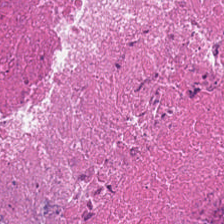Impression — cellular debris.
